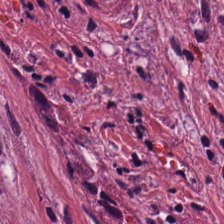0.5 µm per pixel; hematoxylin-and-eosin stained section.
Predominant tissue: desmoplastic stroma.
